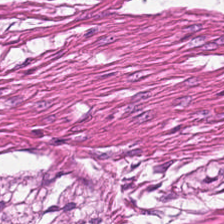Q: What is shown in this field?
A: The field shows muscularis.
